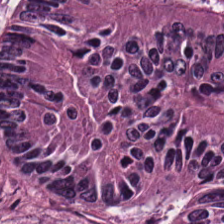Hematoxylin and eosin · formalin-fixed paraffin-embedded section — The predominant tissue is colorectal adenocarcinoma.
